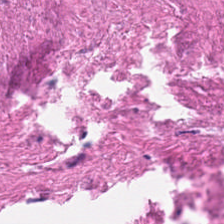Hematoxylin-and-eosin stained section. This patch shows cellular debris.
